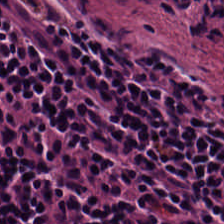Q: Identify the tissue.
A: It is lymphocyte aggregate.
